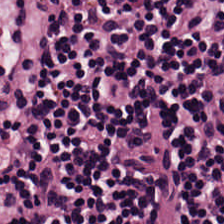H&E stain — Showing lymphoid infiltrate.
